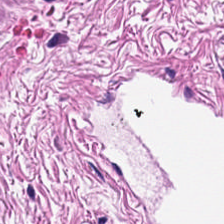Stain: hematoxylin-and-eosin stained section.
Preparation: FFPE.
Predominant tissue: smooth muscle.
